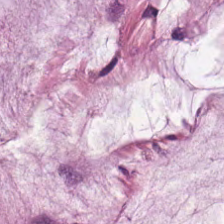Hematoxylin and eosin — Predominant tissue = extracellular mucin.
